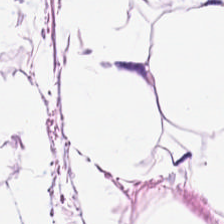H&E-stained tissue section — Fat tissue.
